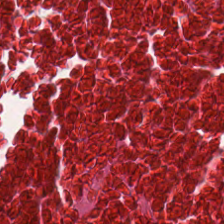H&E.
Histology → necrotic debris.
